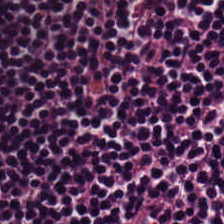The tissue here is lymphocyte aggregate.
